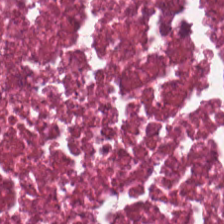H&E — Predominantly cellular debris.
